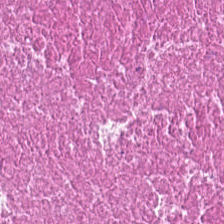H&E — Histology — cellular debris.
